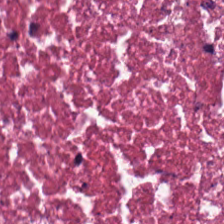224×224 px patch · hematoxylin and eosin.
This field is cellular debris.
